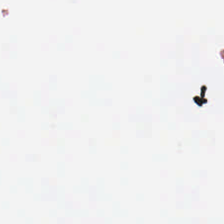Hematoxylin-and-eosin stained section.
Finding → no tissue.
